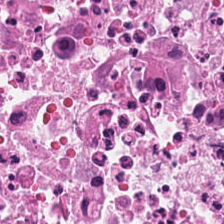Tissue — debris.
